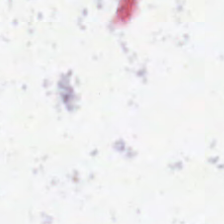Hematoxylin-and-eosin stained section.
Background (no tissue).
